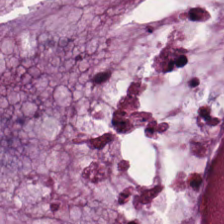Hematoxylin and eosin. FFPE tissue section. Q: What tissue type is shown here?
A: It is mucus.
